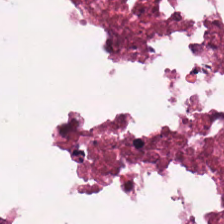FFPE tissue section; 0.5 µm/px; H&E. Cellular debris.
